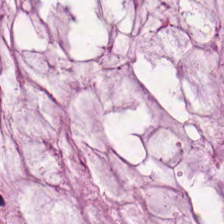Stain: hematoxylin-and-eosin stained section.
Tissue type: mucin.
